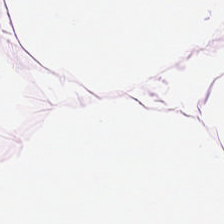H&E · formalin-fixed paraffin-embedded section · 0.5 microns per pixel. Q: What type of tissue is this?
A: Adipose tissue.
